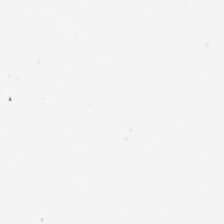Field content — background.
